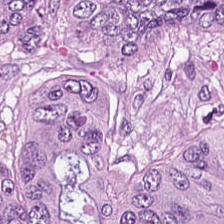H&E-stained tissue section showing malignant epithelium.
